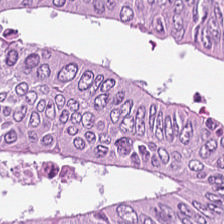Stain: hematoxylin and eosin.
Resolution: 0.5 µm/px.
Predominant tissue: colorectal adenocarcinoma.
